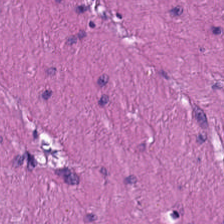WSI patch; H&E; 0.5 µm/px — Impression — smooth-muscle tissue.
